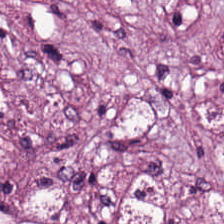Hematoxylin-and-eosin stained section · 20× equivalent magnification — Desmoplastic stroma.
